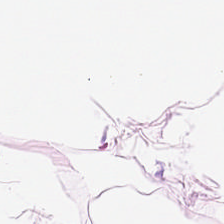H&E; 224×224 pixel tile — Showing fat tissue.
